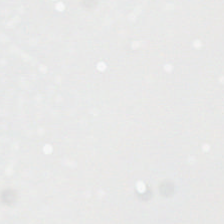The field content is background.
